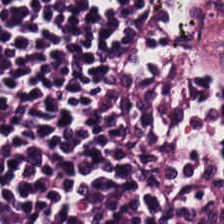Hematoxylin-and-eosin stained section. 224×224 px tile. Tissue class — lymphocyte aggregate.
